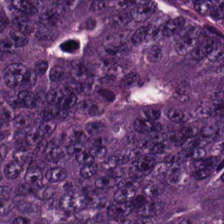Colorectal adenocarcinoma.
